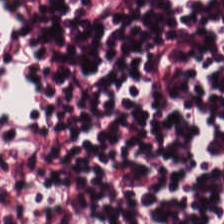Q: What tissue is shown?
A: Lymphoid infiltrate.
